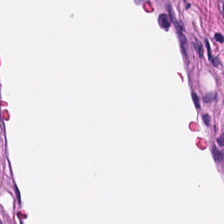H&E-stained tissue section. Q: Identify the tissue.
A: Smooth-muscle tissue.
